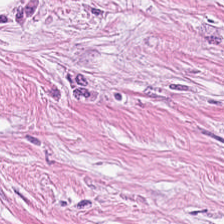Hematoxylin-and-eosin stained section. The predominant tissue is desmoplastic stroma.
